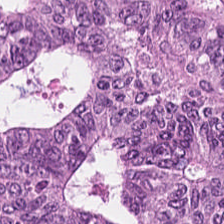H&E stain · brightfield microscopy — Predominantly malignant epithelium.
